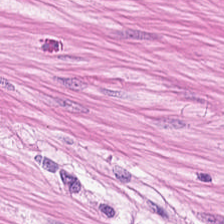Stain: hematoxylin and eosin.
Predominant tissue: smooth-muscle tissue.
